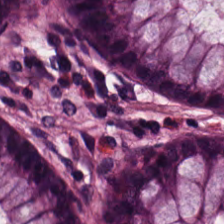Finding → normal colonic mucosa.
